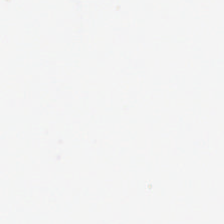Hematoxylin and eosin.
Field content: background.
